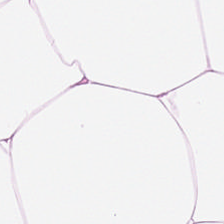Q: What tissue is shown?
A: This is fat tissue.
